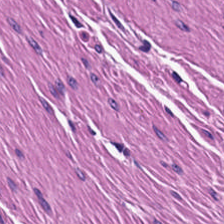Smooth-muscle tissue.
